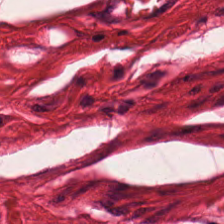0.5 microns per pixel; hematoxylin and eosin. Q: What type of tissue is this?
A: It is smooth-muscle tissue.
